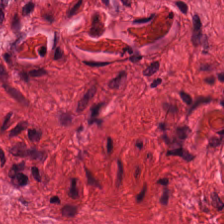Stain: hematoxylin and eosin.
Resolution: 0.5 µm/px.
Tissue class: muscularis.
